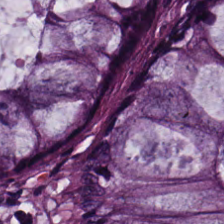The tissue type is benign colonic mucosa.
